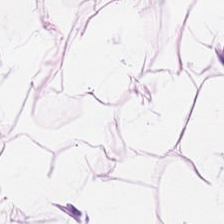H&E-stained tissue section. Q: What does this patch show?
A: This is adipose tissue.
